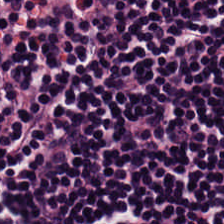Tissue class — lymphoid infiltrate.
